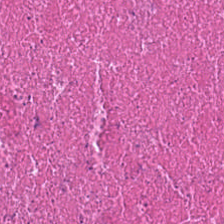Histology → cellular debris.
